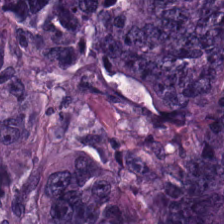Classification — colorectal adenocarcinoma.
